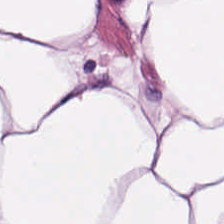Hematoxylin-and-eosin stained section.
The tissue type is adipocytes.
